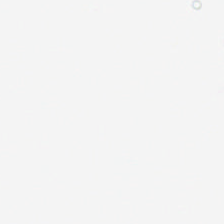0.5 µm/px. Hematoxylin-and-eosin stained section — Field content: background (no tissue).
